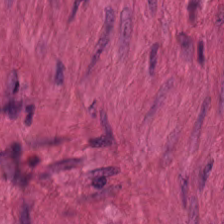Brightfield · hematoxylin-and-eosin stained section.
This field is smooth-muscle tissue.
